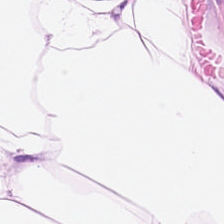Q: What is shown in this field?
A: Adipocytes.
